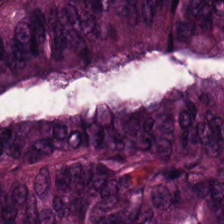H&E; WSI patch — Tissue class = colorectal adenocarcinoma epithelium.
